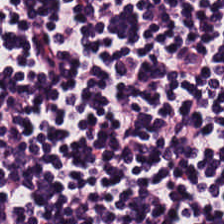Hematoxylin and eosin — Predominant tissue: lymphocytic infiltrate.
